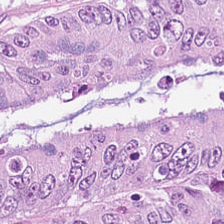H&E.
Q: Classify this patch.
A: This is malignant epithelium.
